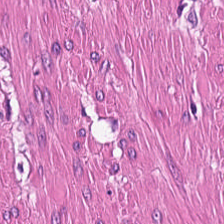H&E — This patch shows muscularis.
